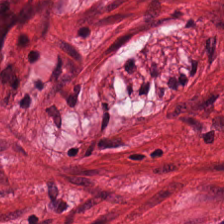Q: What is the predominant tissue type?
A: The field shows smooth-muscle tissue.
